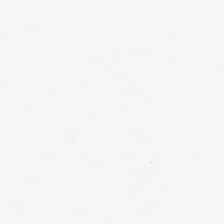H&E. Background (no tissue).
